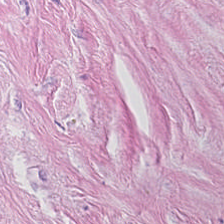Stain: hematoxylin-and-eosin stained section.
Preparation: FFPE tissue section.
Classification: cancer-associated stroma.
